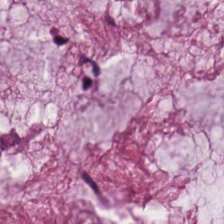224×224 px tile. H&E-stained tissue section.
The predominant tissue is extracellular mucin.
